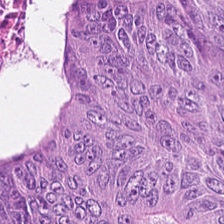Hematoxylin-and-eosin stained section · 224×224 pixel tile. Tissue type — adenocarcinoma.
